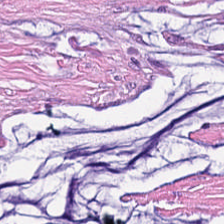H&E-stained tissue section; 224×224 px patch; FFPE tissue section — Tissue class — desmoplastic stroma.
